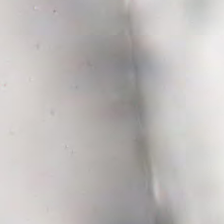Field content — no tissue.
